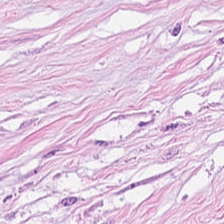The tissue here is cancer-associated stroma.
